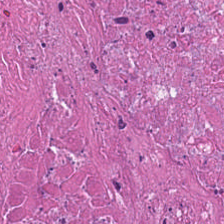Stain: H&E stain.
Classification: cellular debris.
